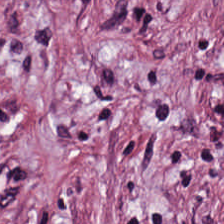Hematoxylin-and-eosin stained section. Brightfield. 20× equivalent magnification — Showing desmoplastic stroma.
